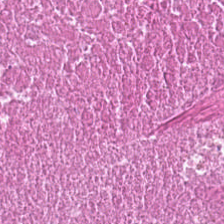20× equivalent magnification · H&E-stained tissue section — The tissue is cellular debris.
